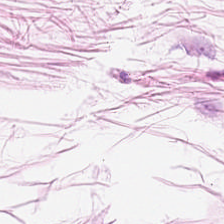H&E stain. Classification — fat tissue.
